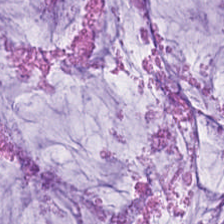H&E-stained tissue section — This patch shows mucin.
